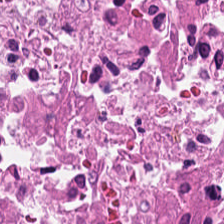Whole-slide-image patch · H&E-stained tissue section.
Tissue class — debris.
